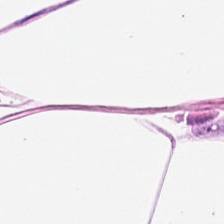Hematoxylin-and-eosin section: adipose.
